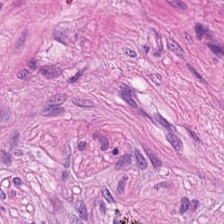Hematoxylin-and-eosin stained section — Finding → smooth muscle.
